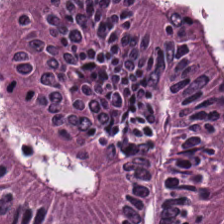FFPE tissue section. H&E. Q: What is the predominant tissue type?
A: This is colorectal adenocarcinoma epithelium.
